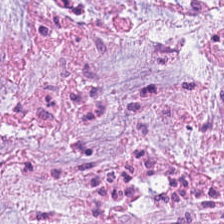Hematoxylin-and-eosin stained section.
Tissue type: desmoplastic stroma.
